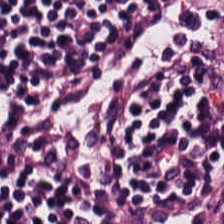The tissue here is lymphocytic infiltrate.
